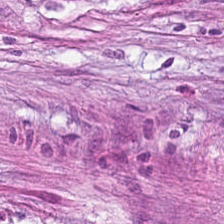Q: Classify this patch.
A: Tumor-associated stroma.
